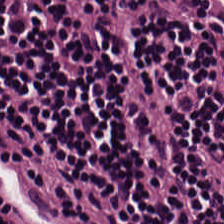Stain: H&E.
Tile size: 224×224 px tile.
Tissue class: lymphocyte aggregate.
